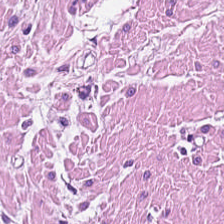Hematoxylin-and-eosin stained section; FFPE tissue section — Q: What tissue is shown?
A: It is smooth muscle.
